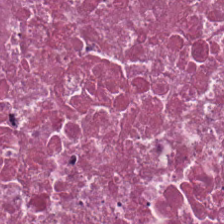Formalin-fixed paraffin-embedded section. Brightfield microscopy. Hematoxylin and eosin — Predominantly cellular debris.
